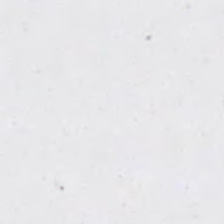Classification = background (no tissue).
